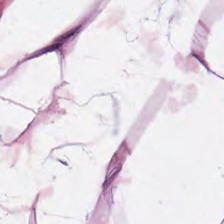Q: What is shown in this field?
A: This is adipose tissue.
